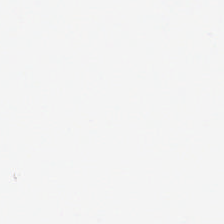Stain: H&E-stained tissue section.
Content: background.
